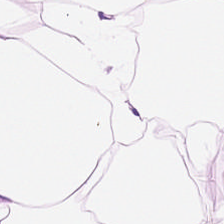This field is adipose.
